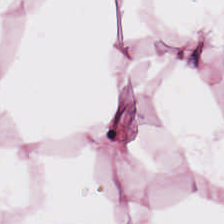H&E-stained tissue section. Tissue — adipose.
